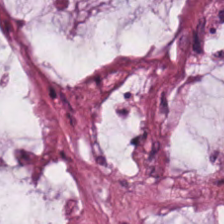Hematoxylin and eosin · 20× equivalent magnification.
Histology → mucin.
